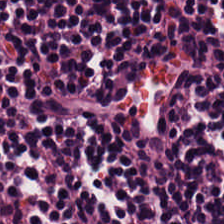Showing lymphoid infiltrate.
